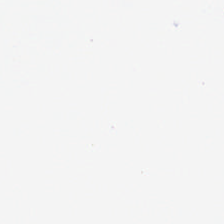Formalin-fixed paraffin-embedded section. 0.5 µm/px. Hematoxylin and eosin.
Content = background.
